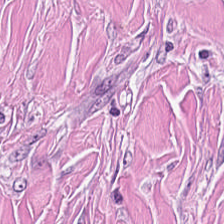H&E-stained tissue section · 224×224 px tile. The tissue here is tumor-associated stroma.
